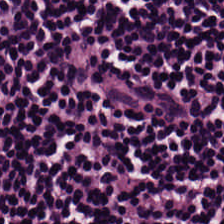H&E stain.
Tissue type — lymphocyte aggregate.
